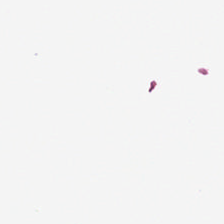H&E-stained tissue section — Q: What is shown here?
A: It is background.
